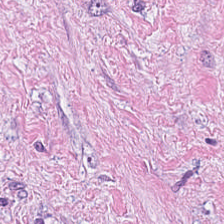Hematoxylin and eosin. Showing tumor-associated stroma.
